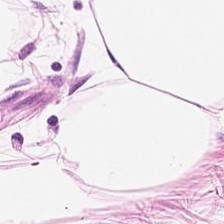H&E.
Q: What is shown here?
A: It is adipocytes.
